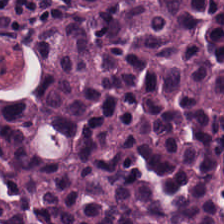FFPE tissue section. Brightfield. Hematoxylin-and-eosin stained section.
Tissue class = lymphocytic infiltrate.
